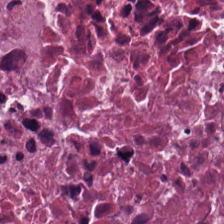Cellular debris.
